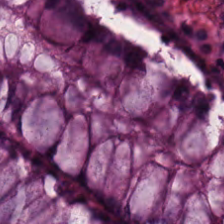H&E stain. Impression — normal colon mucosa.
